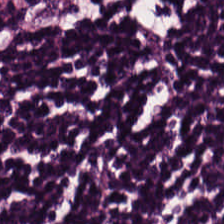H&E stain — Predominant tissue: lymphocyte aggregate.
